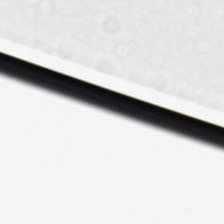Stain: hematoxylin-and-eosin stained section.
Field content: empty background.
